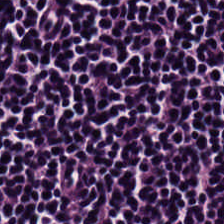Whole-slide-image patch · hematoxylin-and-eosin stained section · FFPE tissue section — Tissue = lymphocyte aggregate.
